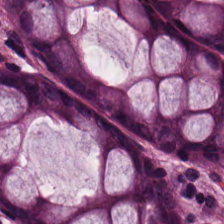H&E-stained tissue section — Impression → normal colon mucosa.
